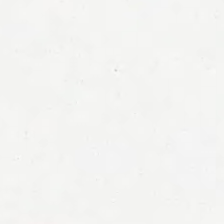Formalin-fixed paraffin-embedded section. 224×224 pixel tile. H&E.
Content: background.
